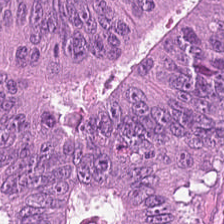The predominant tissue is colorectal adenocarcinoma epithelium.
